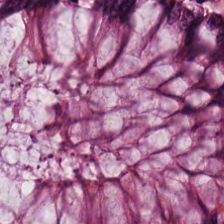H&E.
Q: What is the predominant tissue type?
A: The field shows normal colonic mucosa.
